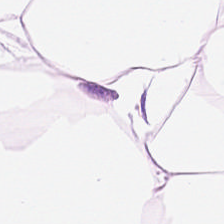Q: Identify the tissue.
A: It is fat tissue.
